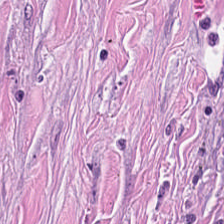Hematoxylin and eosin; 224×224 pixel tile.
The tissue here is tumor stroma.
